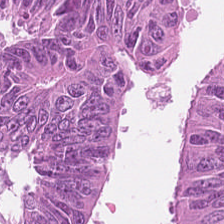{"tissue_type": "adenocarcinoma"}
